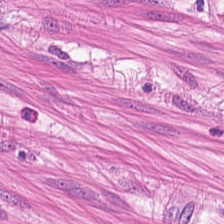Hematoxylin-and-eosin stained section · 224×224 px tile · whole-slide-image patch.
Q: What is shown in this field?
A: The field shows muscularis.
